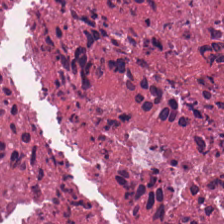H&E-stained tissue section; brightfield — Tissue type — necrotic debris.
